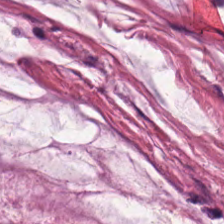H&E-stained tissue section showing extracellular mucin.
